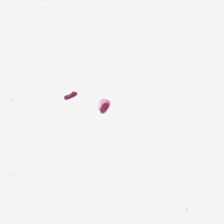20× equivalent magnification. H&E. No tissue present; background only.
